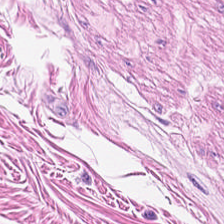224×224 px tile · whole-slide-image patch · hematoxylin and eosin. Predominant tissue = muscularis.
